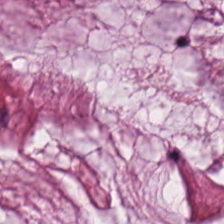H&E. 224×224 px tile. WSI patch.
Predominantly mucin.
